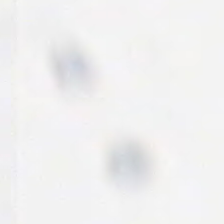H&E-stained tissue section.
The field content is background (no tissue).
